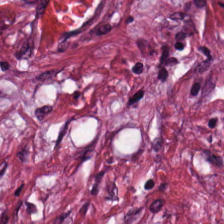Brightfield · hematoxylin-and-eosin stained section — Q: Identify the tissue.
A: It is tumor stroma.
